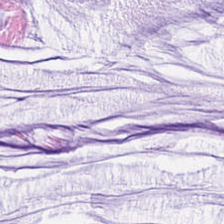Stain: hematoxylin and eosin.
Resolution: 0.5 µm/px.
Tissue class: mucus.
